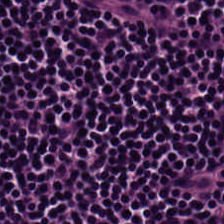Formalin-fixed paraffin-embedded section; 224×224 px tile; hematoxylin-and-eosin stained section — Impression → lymphocyte aggregate.
